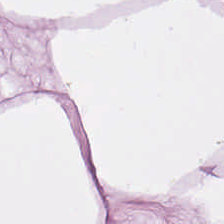H&E stain — This field is adipocytes.
